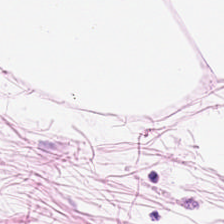H&E-stained tissue section. This patch shows adipose tissue.
